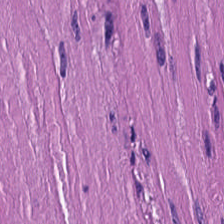H&E stain; 20× equivalent magnification — Tissue class — smooth-muscle tissue.
